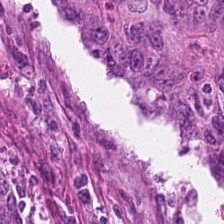224×224 px patch; H&E-stained tissue section. Showing malignant epithelium.
